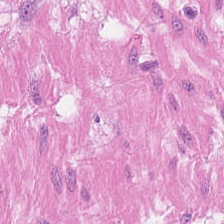Stain: H&E-stained tissue section.
Tissue type: smooth muscle.
